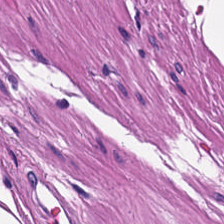H&E · FFPE tissue section.
The tissue here is smooth muscle.
